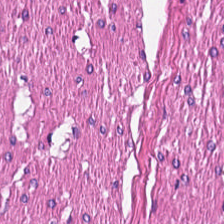H&E-stained tissue section · formalin-fixed paraffin-embedded section · WSI patch.
Q: What tissue is shown?
A: The field shows smooth-muscle tissue.
